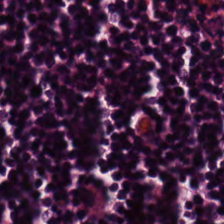Hematoxylin-and-eosin stained section. Tissue class — lymphocyte aggregate.
